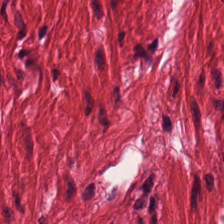Brightfield microscopy. Hematoxylin-and-eosin stained section. Showing smooth-muscle tissue.
